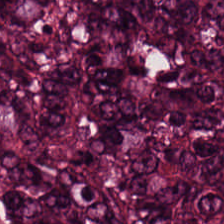Stain: H&E-stained tissue section.
Acquisition: whole-slide-image patch.
Preparation: FFPE tissue section.
Predominant tissue: tumor epithelium.
